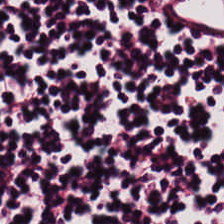224×224 px patch. H&E-stained tissue section.
Q: Identify the tissue.
A: It is lymphocyte aggregate.
